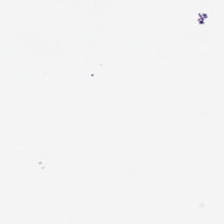H&E stain. Formalin-fixed paraffin-embedded section.
This patch shows background (no tissue).
